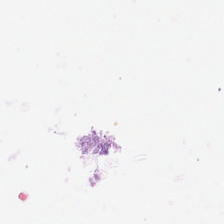Stain: H&E-stained tissue section.
Field content: background (no tissue).
